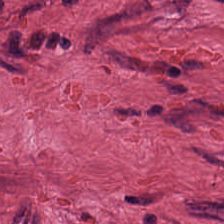Whole-slide-image patch. Hematoxylin-and-eosin stained section. FFPE tissue section — Tissue — tumor-associated stroma.
